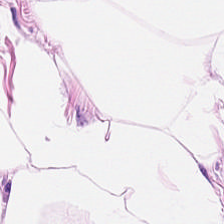H&E-stained tissue section — Q: What type of tissue is this?
A: Adipose.
